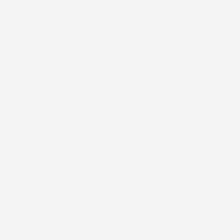H&E stain; 224×224 px tile.
This field is background (no tissue).
